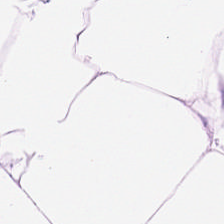H&E stain. Finding → fat tissue.
